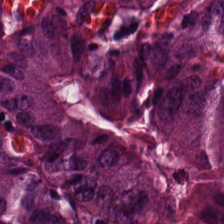Hematoxylin and eosin — Q: What tissue is shown?
A: This is colorectal adenocarcinoma epithelium.
